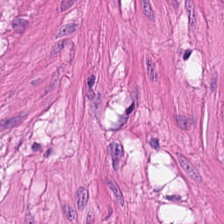The predominant tissue is smooth muscle.
